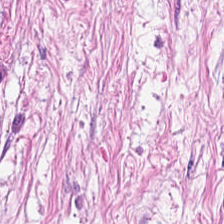The predominant tissue is cancer-associated stroma.
